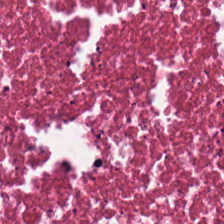Impression — necrotic debris.
